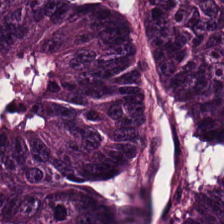H&E · 20× equivalent magnification.
The tissue is tumor epithelium.
